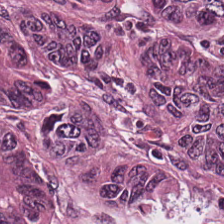20× equivalent magnification; hematoxylin and eosin; formalin-fixed paraffin-embedded section.
Predominant tissue: malignant epithelium.
